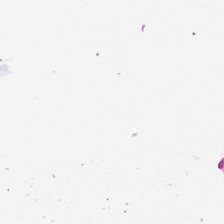Classification — background (no tissue).
